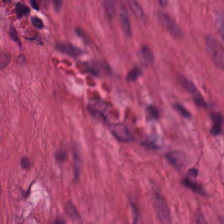H&E stain — The predominant tissue is muscularis.
